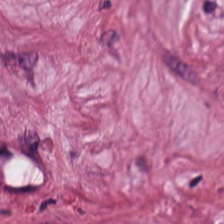H&E-stained section; the field shows tumor stroma.
